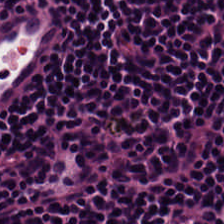H&E — Showing lymphoid infiltrate.
